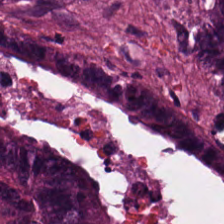H&E-stained tissue section. Q: What does this patch show?
A: It is colorectal adenocarcinoma epithelium.
